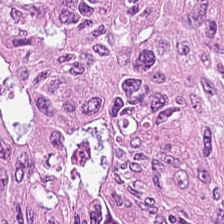Hematoxylin and eosin. Impression — malignant epithelium.
